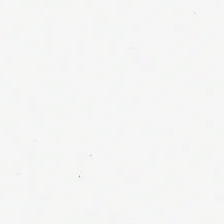Stain: H&E-stained tissue section.
Preparation: FFPE.
Acquisition: brightfield microscopy.
Field content: empty background.
